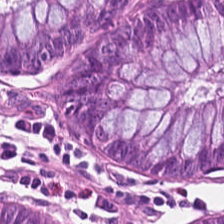Hematoxylin-and-eosin stained section. FFPE. Brightfield microscopy. The tissue here is benign colonic mucosa.
